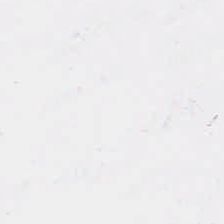Formalin-fixed paraffin-embedded section. Hematoxylin and eosin. Background.
